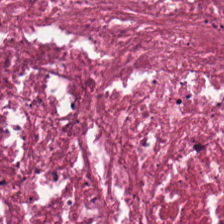Hematoxylin and eosin · 224×224 pixel tile. Tissue class = necrotic debris.
